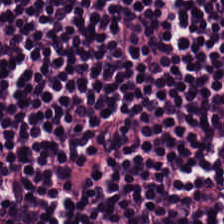Q: What does this patch show?
A: Lymphoid infiltrate.
